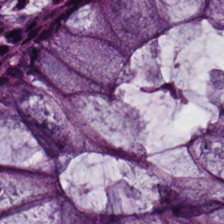H&E-stained tissue section.
Predominantly normal colon mucosa.
